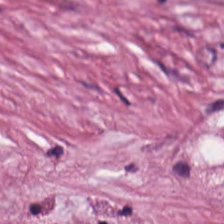The tissue class is tumor-associated stroma.
